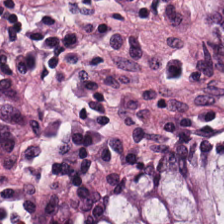Hematoxylin-and-eosin stained section.
Impression — non-neoplastic colon mucosa.
